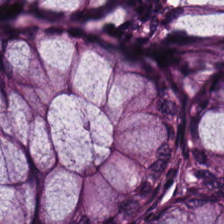H&E patch showing non-neoplastic colon mucosa.
